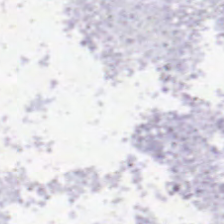Hematoxylin and eosin · 224×224 pixel tile.
Empty field — background (no tissue).
